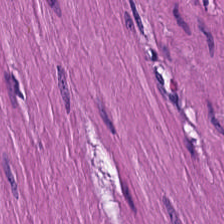Hematoxylin and eosin. FFPE. Brightfield.
Histology → muscularis.
